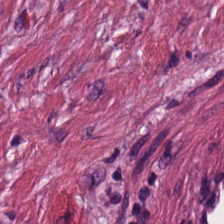Tumor stroma.
